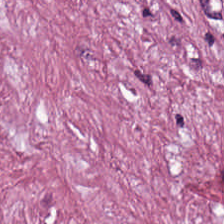H&E · 224×224 px tile — {"tissue_type": "cancer-associated stroma"}
